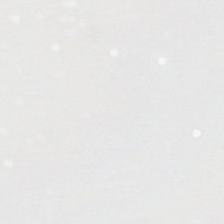FFPE tissue section · H&E-stained tissue section — Finding — empty background.
